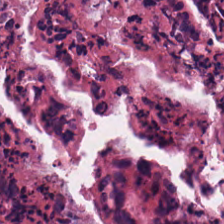Stain: H&E-stained tissue section.
Tissue type: debris.
